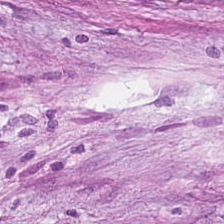Histology — tumor-associated stroma.
